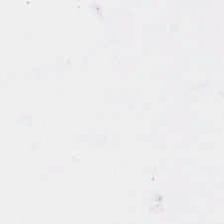H&E. Background — no tissue in this field.
